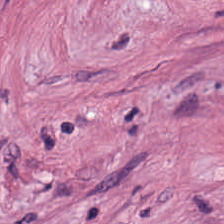Classification: tumor stroma.
